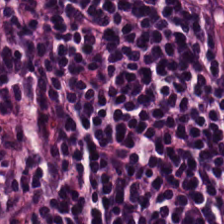The predominant tissue is lymphocytes.
